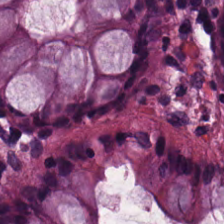H&E-stained tissue section. Formalin-fixed paraffin-embedded section. This patch shows non-neoplastic colon mucosa.
